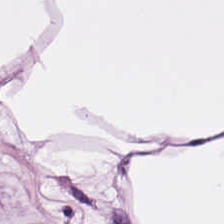Hematoxylin and eosin — The tissue type is adipocytes.
